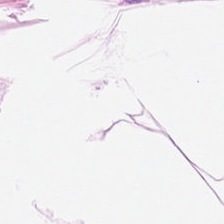Formalin-fixed paraffin-embedded section · H&E stain · 224×224 pixel tile.
The tissue is adipocytes.
